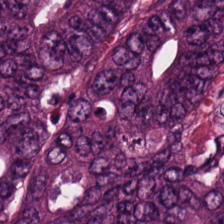The tissue class is malignant epithelium.
